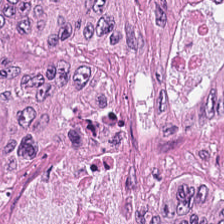The tissue is adenocarcinoma.
